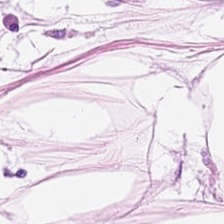0.5 µm/px; FFPE; hematoxylin-and-eosin stained section.
The predominant tissue is adipose.
